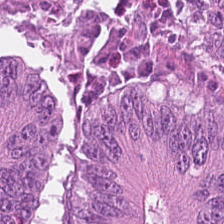Stain: H&E-stained tissue section.
Tissue: adenocarcinoma.
